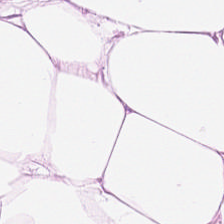Tissue class — fat tissue.
